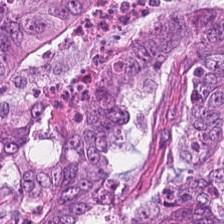H&E.
This field is adenocarcinoma.
